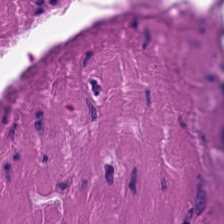Hematoxylin-and-eosin stained section · 0.5 µm per pixel — Tissue type = smooth-muscle tissue.
